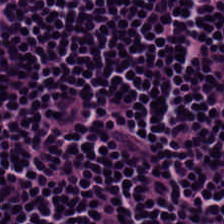H&E stain.
Tissue class — lymphocytes.
